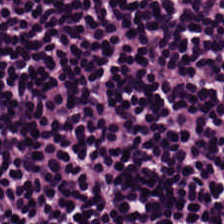224×224 px patch. Hematoxylin-and-eosin stained section. 0.5 microns per pixel. Q: What tissue type is shown here?
A: This is lymphocytes.
